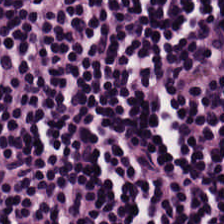Showing lymphocytic infiltrate.
